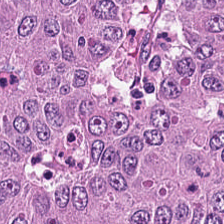Predominant tissue: colorectal adenocarcinoma.
